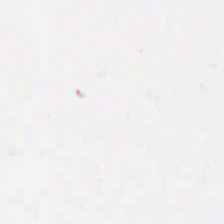Hematoxylin and eosin — This patch shows background.
